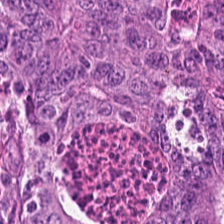Hematoxylin and eosin.
Q: Identify the tissue.
A: The field shows colorectal adenocarcinoma epithelium.
